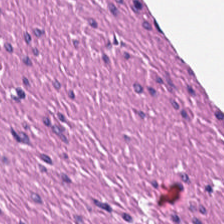{"tissue_type": "muscularis"}
